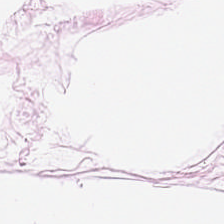This field is fat tissue.
